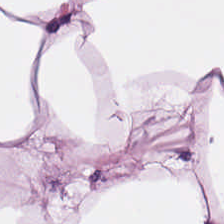H&E stain. 224×224 px tile.
The tissue is adipose tissue.
